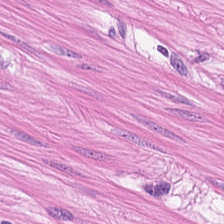Hematoxylin-and-eosin stained section — Tissue — smooth-muscle tissue.
